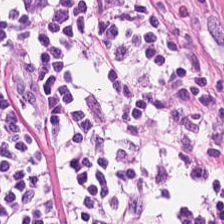H&E-stained tissue section — This field is smooth-muscle tissue.
